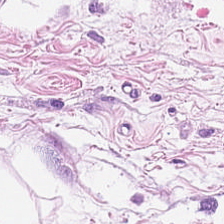Stain: H&E-stained tissue section.
Preparation: formalin-fixed paraffin-embedded section.
Resolution: 0.5 µm/px.
Predominant tissue: adipose tissue.
